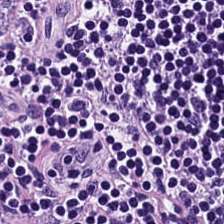Stain: hematoxylin and eosin.
Acquisition: brightfield.
Predominant tissue: lymphocyte aggregate.
